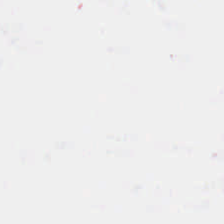H&E stain · FFPE tissue section — Histology → background.
